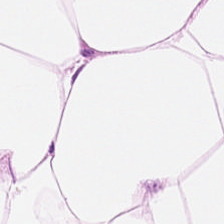Stain: hematoxylin-and-eosin stained section.
Resolution: 0.5 µm/px.
Tile size: 224×224 px patch.
Classification: fat tissue.
